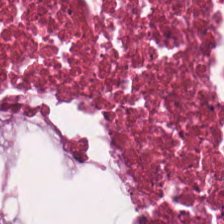H&E-stained tissue section; brightfield; 224×224 px tile — Impression — debris.
